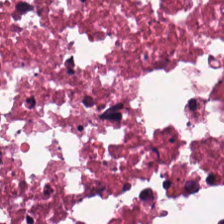Hematoxylin and eosin; WSI patch; FFPE tissue section — The tissue type is debris.
